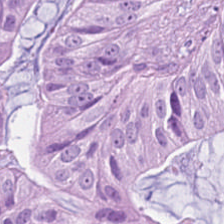H&E stain — Histology → colorectal adenocarcinoma epithelium.
